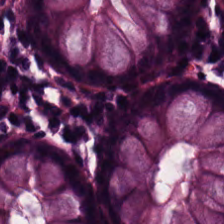H&E-stained tissue section — The tissue here is non-neoplastic colon mucosa.
